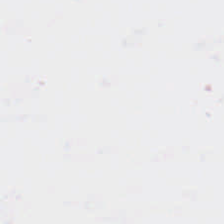Content: background (no tissue).
